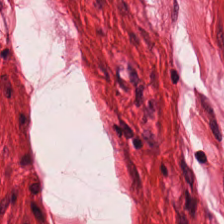Hematoxylin and eosin. FFPE tissue section — Smooth muscle.
